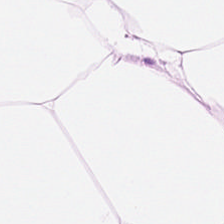Hematoxylin and eosin.
Q: What tissue is shown?
A: Fat tissue.
